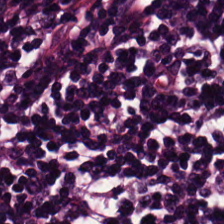H&E · formalin-fixed paraffin-embedded section · 224×224 pixel tile. Q: What is the predominant tissue type?
A: Lymphoid infiltrate.
